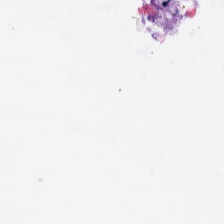This patch shows empty background.
